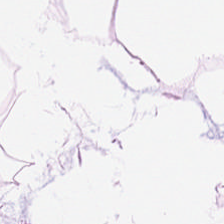Tissue — fat tissue.
